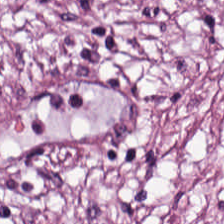H&E; 0.5 µm per pixel — This field is cancer-associated stroma.
